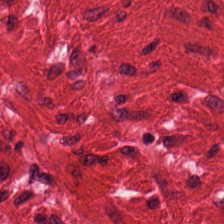Whole-slide-image patch · hematoxylin-and-eosin stained section. This field is muscularis.
